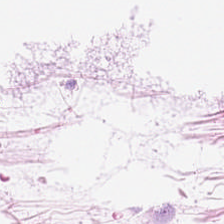Hematoxylin-and-eosin stained section; whole-slide-image patch. The tissue here is adipose.
